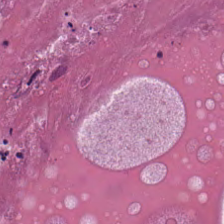Q: Classify this patch.
A: It is cellular debris.
